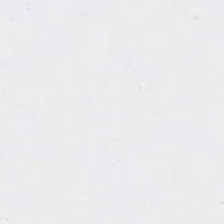H&E stain — Background — no tissue in this field.
